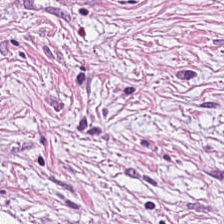H&E stain. Classification = tumor-associated stroma.
